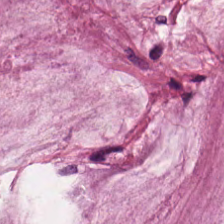H&E.
Mucin.
